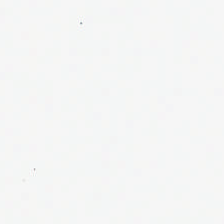FFPE; hematoxylin-and-eosin stained section — Impression — empty background.
